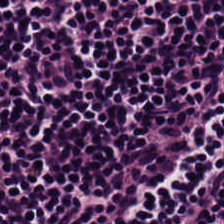The predominant tissue is lymphocyte aggregate.
